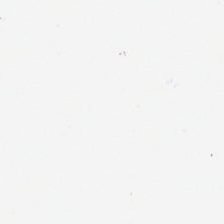H&E-stained tissue section. 0.5 µm per pixel — The content is no tissue.
